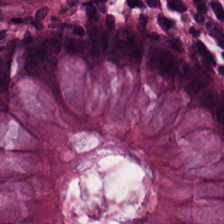Hematoxylin-and-eosin stained section.
{"tissue_type": "non-neoplastic colon mucosa"}
